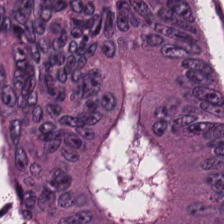The classification is colorectal adenocarcinoma epithelium.
